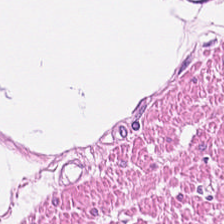H&E-stained tissue section.
Muscularis.
